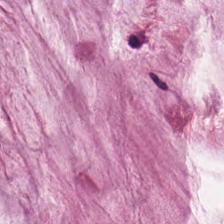H&E.
{"tissue_type": "mucin"}
